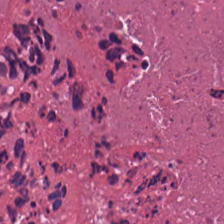H&E stain.
Showing cellular debris.
